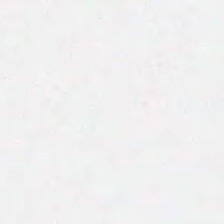H&E stain; FFPE tissue section.
This patch shows no tissue.
